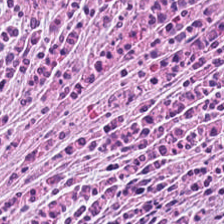Hematoxylin-and-eosin stained section; 0.5 µm/px; 224×224 pixel tile — Tumor stroma.
